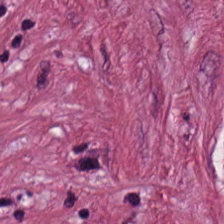H&E-stained section; the field shows tumor stroma.
